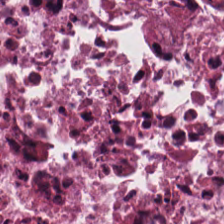Tissue — cellular debris.
